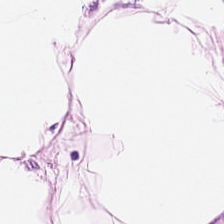Stain: H&E stain.
Tissue class: adipose.
